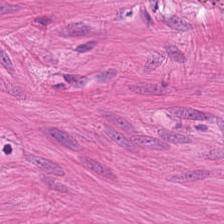H&E.
Predominantly smooth muscle.
